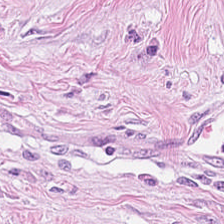Whole-slide-image patch · H&E stain.
Tissue class: tumor stroma.
